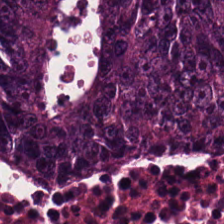Tissue = colorectal adenocarcinoma epithelium.
